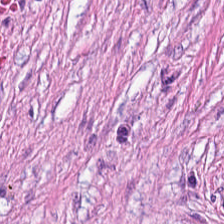This field is tumor-associated stroma.
